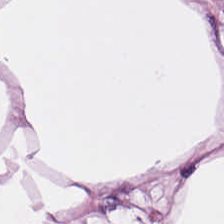H&E-stained tissue section. The tissue class is adipose.
